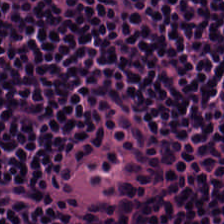WSI patch; H&E stain; 0.5 microns per pixel — Q: What type of tissue is this?
A: This is lymphocyte aggregate.
